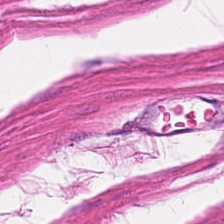Stain: hematoxylin-and-eosin stained section.
Classification: smooth-muscle tissue.
